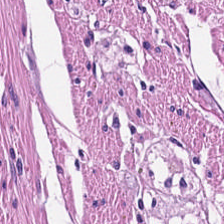Hematoxylin-and-eosin stained section — Smooth-muscle tissue.
